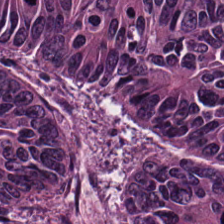H&E · 0.5 µm/px — Finding — colorectal adenocarcinoma.
